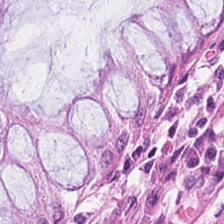Formalin-fixed paraffin-embedded section; brightfield microscopy; hematoxylin-and-eosin stained section.
The predominant tissue is normal colon mucosa.
